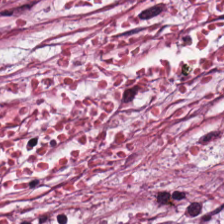H&E-stained tissue section.
Predominant tissue — desmoplastic stroma.
